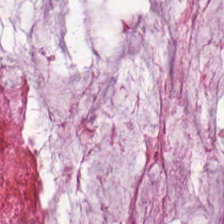Hematoxylin-and-eosin stained section.
Predominantly extracellular mucin.
